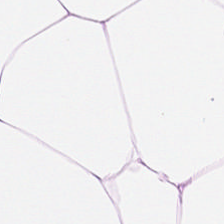20× equivalent magnification; H&E. Predominant tissue — adipose.
